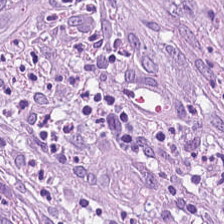Brightfield microscopy · hematoxylin-and-eosin stained section.
This field is tumor stroma.
